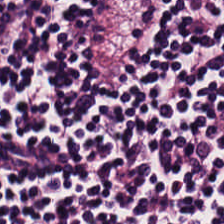Stain: hematoxylin and eosin.
Acquisition: brightfield microscopy.
Classification: lymphocytes.
